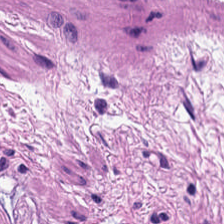0.5 µm per pixel; 224×224 px tile; H&E — Finding → smooth muscle.
